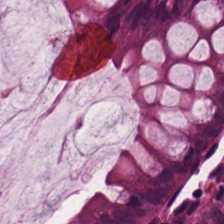Hematoxylin-and-eosin section: non-neoplastic colon mucosa.
